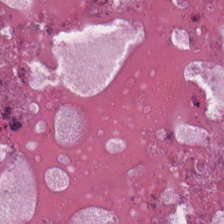Hematoxylin-and-eosin stained section — Q: Identify the tissue.
A: This is necrotic debris.
